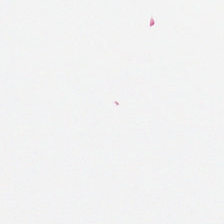Finding → no tissue.
